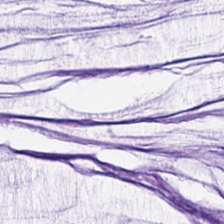H&E. The predominant tissue is mucus.
